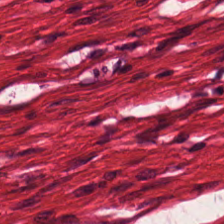FFPE · H&E — Q: What tissue type is shown here?
A: It is smooth-muscle tissue.
